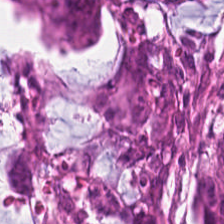Hematoxylin-and-eosin stained section. Showing adenocarcinoma.
